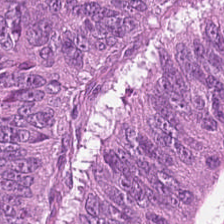Q: What tissue type is shown here?
A: Tumor epithelium.
